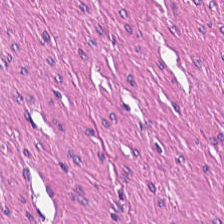WSI patch · 20× equivalent magnification · hematoxylin-and-eosin stained section — The tissue is muscularis.
